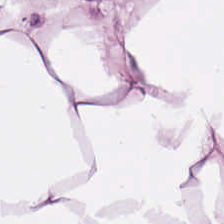Hematoxylin-and-eosin stained section; 224×224 px patch — This patch shows fat tissue.
